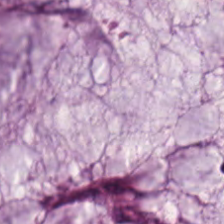Hematoxylin-and-eosin section: extracellular mucin.
